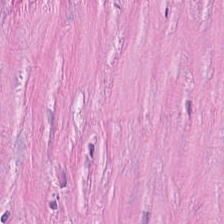20× equivalent magnification. H&E — Cancer-associated stroma.
